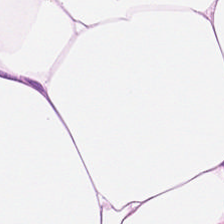Brightfield · formalin-fixed paraffin-embedded section · hematoxylin and eosin — This patch shows adipose tissue.
